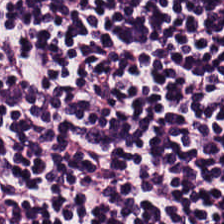H&E-stained tissue section.
The predominant tissue is lymphocytes.
